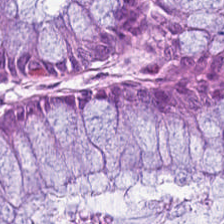Hematoxylin-and-eosin stained section — The predominant tissue is normal colonic mucosa.
